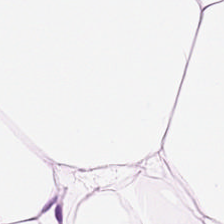H&E — Q: What is shown here?
A: The field shows adipose tissue.
